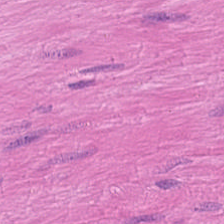H&E — Predominantly smooth-muscle tissue.
